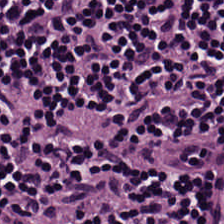H&E-stained tissue section; brightfield microscopy.
Classification: lymphoid infiltrate.
